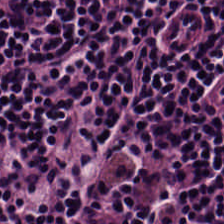Stain: H&E.
Resolution: 0.5 µm per pixel.
Preparation: formalin-fixed paraffin-embedded section.
Tissue class: lymphocyte aggregate.
